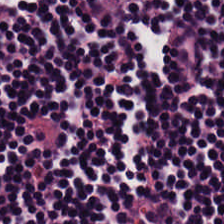Hematoxylin and eosin.
This patch shows lymphocyte aggregate.
